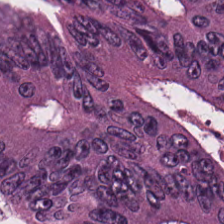Classification = colorectal adenocarcinoma.
